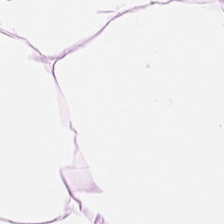224×224 pixel tile · hematoxylin-and-eosin stained section. Q: What is the predominant tissue type?
A: Adipose tissue.
